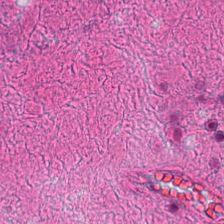224×224 pixel tile · H&E stain. This patch shows debris.
